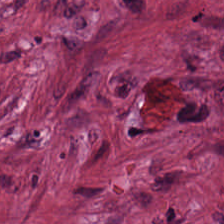Hematoxylin and eosin.
The predominant tissue is desmoplastic stroma.
